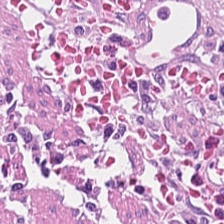Hematoxylin-and-eosin stained section; formalin-fixed paraffin-embedded section — Finding — tumor-associated stroma.
